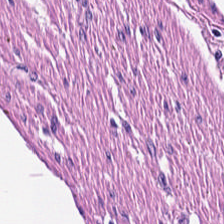Formalin-fixed paraffin-embedded section · 0.5 µm/px · H&E stain.
Q: Classify this patch.
A: This is smooth-muscle tissue.
